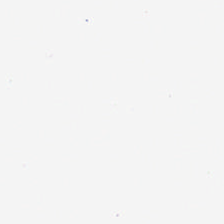224×224 px patch; formalin-fixed paraffin-embedded section; hematoxylin-and-eosin stained section.
Background.
